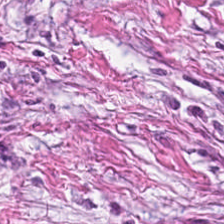0.5 microns per pixel. Hematoxylin-and-eosin stained section — Q: What does this patch show?
A: It is cancer-associated stroma.
